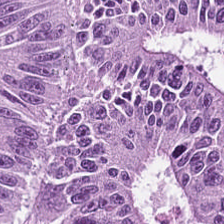Hematoxylin-and-eosin stained section — Predominant tissue: adenocarcinoma.
